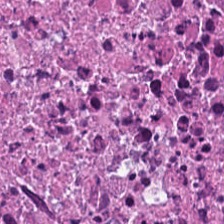The tissue here is necrotic debris.
